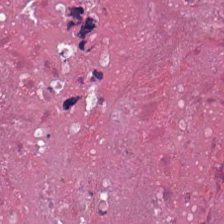WSI patch · hematoxylin and eosin · formalin-fixed paraffin-embedded section — Histology — necrotic debris.
